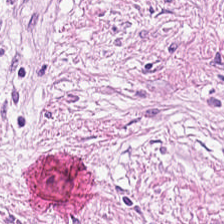Showing tumor-associated stroma.
